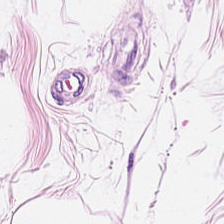H&E — fat tissue.
